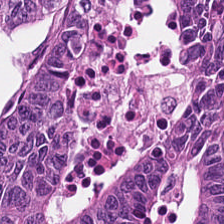Hematoxylin-and-eosin stained section · FFPE tissue section. Predominantly adenocarcinoma.
